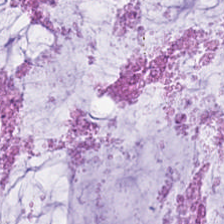Tissue class — mucin.
